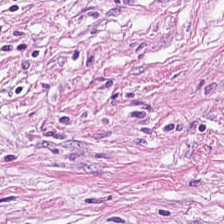Q: Classify this patch.
A: Tumor-associated stroma.
